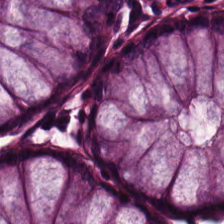Hematoxylin and eosin. The predominant tissue is normal colon mucosa.
